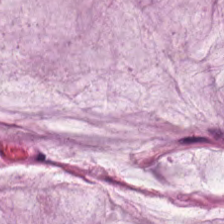Hematoxylin-and-eosin stained section. This patch shows extracellular mucin.
